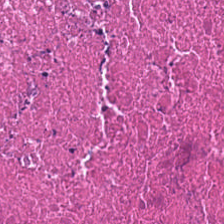H&E-stained tissue section; 224×224 px tile. {"tissue_type": "cellular debris"}
